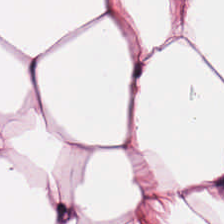Q: What type of tissue is this?
A: This is adipose.
